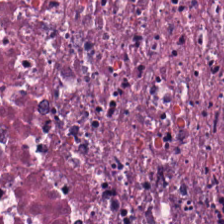FFPE; 20× equivalent magnification; H&E. Tissue = debris.
